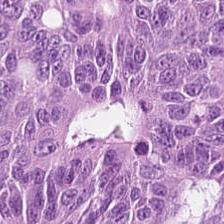H&E. Showing colorectal adenocarcinoma.
